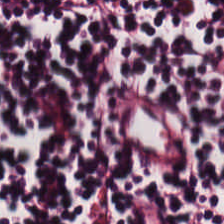H&E stain. Tissue class — lymphocytes.
